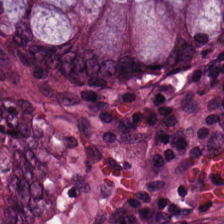224×224 px patch · hematoxylin and eosin · FFPE — Impression → non-neoplastic colon mucosa.
